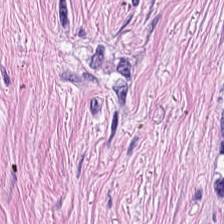224×224 px patch; H&E — Classification — cancer-associated stroma.
